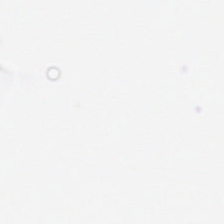Q: Classify this patch.
A: This is background (no tissue).
